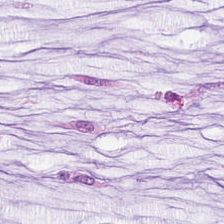224×224 px patch. Hematoxylin-and-eosin stained section.
Mucus.
